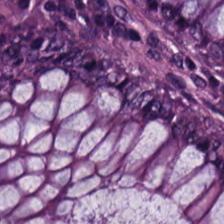H&E stain; brightfield microscopy.
The tissue type is normal colon mucosa.
